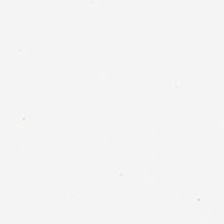H&E — Background — no tissue in this field.
